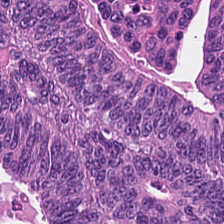Stain: H&E.
Preparation: formalin-fixed paraffin-embedded section.
Tile size: 224×224 px patch.
Classification: colorectal adenocarcinoma.
